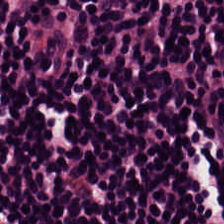Hematoxylin-and-eosin stained section — The tissue here is lymphocyte aggregate.
